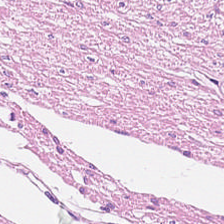Hematoxylin-and-eosin stained section — Predominant tissue: smooth muscle.
